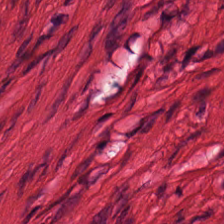Finding → smooth muscle.
